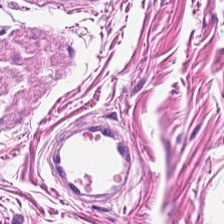H&E stain. FFPE tissue section. Whole-slide-image patch — Classification — muscularis.
